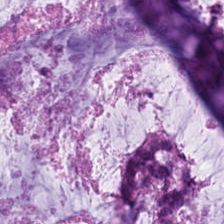Hematoxylin and eosin; 0.5 µm per pixel; brightfield — Finding — mucus.
